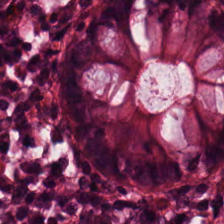Hematoxylin and eosin.
Classification: normal colon mucosa.
